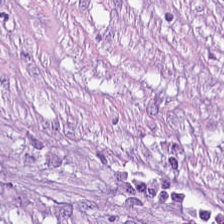H&E-stained tissue section · formalin-fixed paraffin-embedded section · 224×224 px tile. Cancer-associated stroma.
